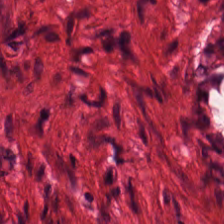H&E. {"tissue_type": "smooth-muscle tissue"}
